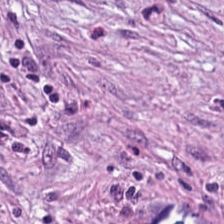Stain: hematoxylin-and-eosin stained section.
Predominant tissue: desmoplastic stroma.
